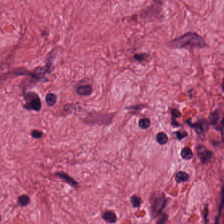Predominantly tumor-associated stroma.
